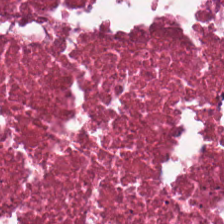H&E stain.
Impression — necrotic debris.
